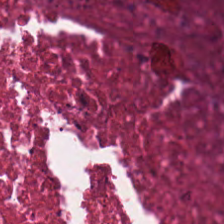Histology — cellular debris.
